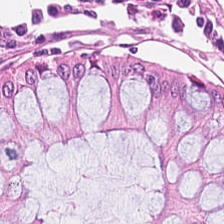0.5 µm per pixel. H&E stain — Predominant tissue: benign colonic mucosa.
